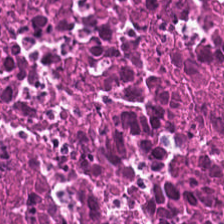Stain: hematoxylin-and-eosin stained section.
Tile size: 224×224 px patch.
Classification: necrotic debris.
